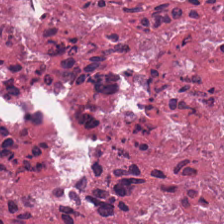Brightfield. Hematoxylin-and-eosin stained section — Classification — cellular debris.
